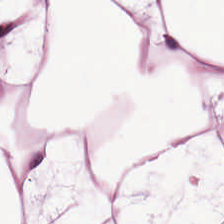H&E stain.
Predominant tissue = adipose.
